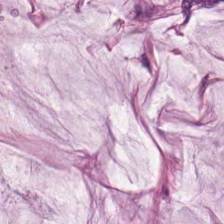Brightfield. H&E-stained tissue section — The tissue class is mucus.
